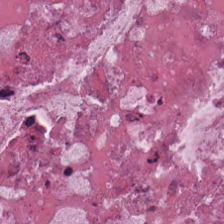H&E; 20× equivalent magnification. Tissue: necrotic debris.
